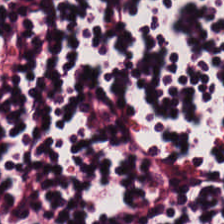Hematoxylin-and-eosin stained section — Finding — lymphocyte aggregate.
